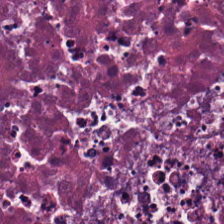Hematoxylin-and-eosin stained section.
Q: What tissue is shown?
A: This is cellular debris.
